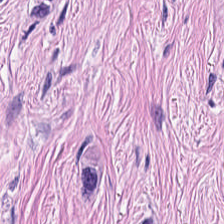Stain: H&E.
Tile size: 224×224 px tile.
Classification: desmoplastic stroma.
